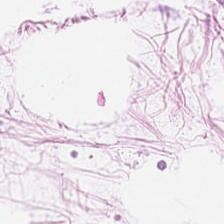Hematoxylin-and-eosin stained section; 224×224 px patch. Showing adipose tissue.
